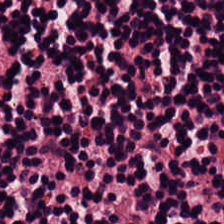The classification is lymphocytic infiltrate.
